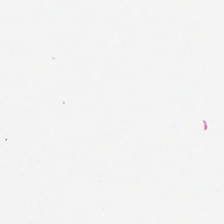H&E-stained tissue section.
Q: What is shown here?
A: The field shows empty background.
